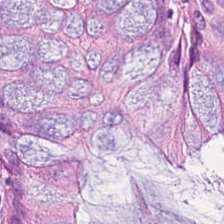Whole-slide-image patch; 0.5 µm per pixel; hematoxylin and eosin — This patch shows benign colonic mucosa.
